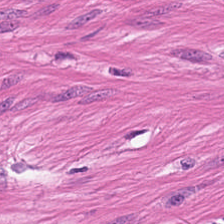H&E-stained tissue section.
This field is muscularis.
